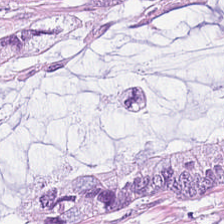FFPE tissue section. 20× equivalent magnification. Hematoxylin-and-eosin stained section. The predominant tissue is extracellular mucin.
